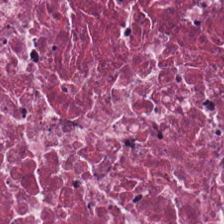H&E-stained tissue section — {"tissue_type": "necrotic debris"}
